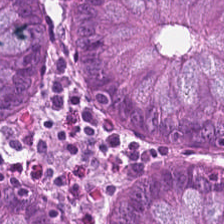H&E — normal colon mucosa.
